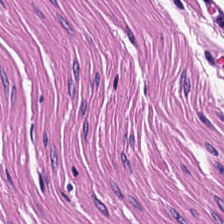H&E stain · 20× equivalent magnification. Impression → muscularis.
